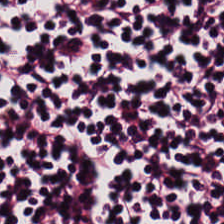The predominant tissue is lymphocyte aggregate.
